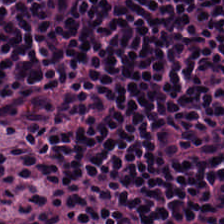Hematoxylin and eosin; whole-slide-image patch; 224×224 px tile.
Showing lymphocyte aggregate.
